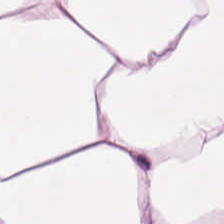Hematoxylin-and-eosin stained section. {"tissue_type": "adipocytes"}
